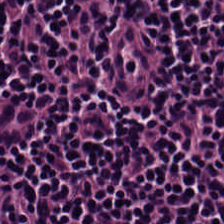Hematoxylin-and-eosin stained section.
The tissue here is lymphocytes.
